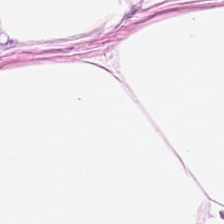Hematoxylin and eosin. Classification — adipocytes.
